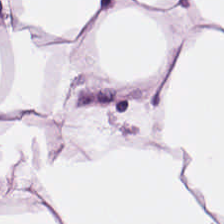Classification: adipocytes.
